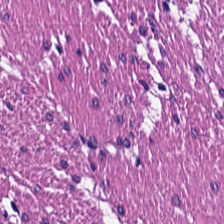Brightfield microscopy. H&E-stained tissue section — The tissue class is smooth-muscle tissue.
